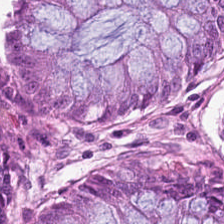H&E. The tissue here is normal colon mucosa.
